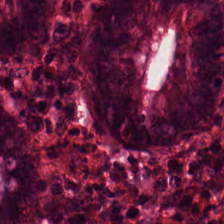Hematoxylin-and-eosin stained section. FFPE tissue section. WSI patch.
Tissue type = normal colonic mucosa.
